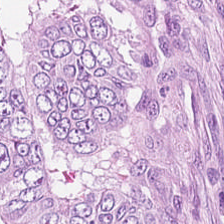Hematoxylin and eosin. Classification — tumor epithelium.
